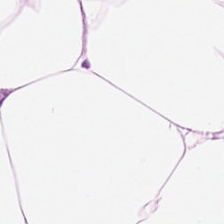Hematoxylin and eosin · 224×224 px tile. The predominant tissue is adipose.
